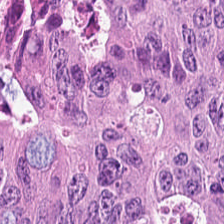Hematoxylin and eosin — {"tissue_type": "tumor epithelium"}
